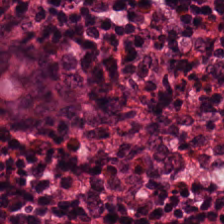H&E. Impression → normal colonic mucosa.
